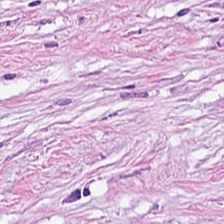H&E-stained tissue section; brightfield; FFPE tissue section — {"tissue_type": "cancer-associated stroma"}
